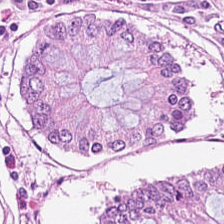Stain: H&E-stained tissue section.
Classification: normal colonic mucosa.
